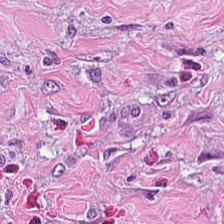H&E stain. The tissue is tumor-associated stroma.
